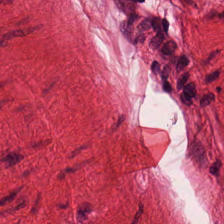Hematoxylin-and-eosin stained section · 20× equivalent magnification.
This patch shows muscularis.
